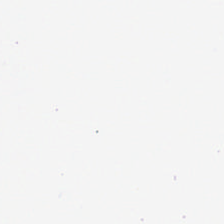224×224 px patch; H&E stain — Finding — background.
